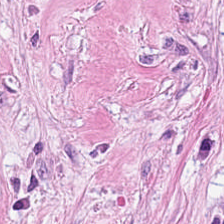H&E stain — Q: What does this patch show?
A: It is cancer-associated stroma.
